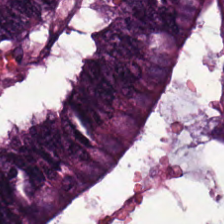H&E — Predominant tissue = colorectal adenocarcinoma.
